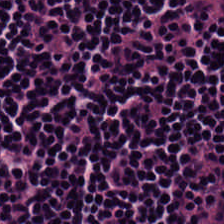Q: Classify this patch.
A: This is lymphocyte aggregate.
